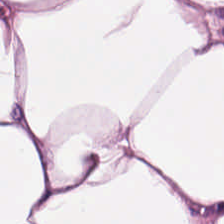224×224 pixel tile. 0.5 µm per pixel. H&E — Fat tissue.
